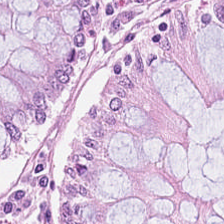0.5 µm/px; H&E-stained tissue section.
Classification — normal colonic mucosa.
